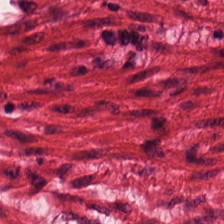H&E-stained tissue section · 224×224 px tile.
Q: What tissue is shown?
A: It is muscularis.
